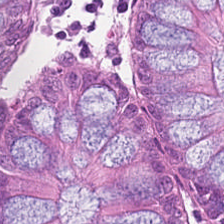H&E-stained tissue section. 0.5 µm/px. 224×224 px tile. Predominantly benign colonic mucosa.
